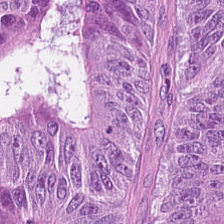Stain: H&E-stained tissue section.
Tissue: colorectal adenocarcinoma epithelium.
